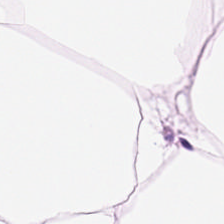H&E-stained tissue section — The tissue here is adipose.
